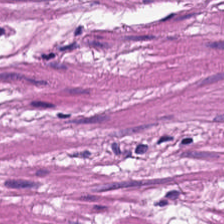H&E stain — Q: What tissue is shown?
A: This is smooth muscle.
